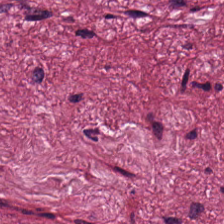H&E-stained tissue section; 224×224 pixel tile.
This patch shows cancer-associated stroma.
